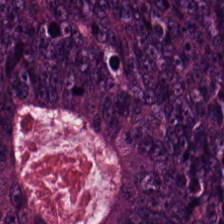Hematoxylin-and-eosin stained section. Predominantly colorectal adenocarcinoma.
